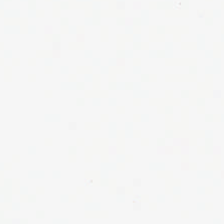H&E-stained tissue section. Histology → no tissue.
